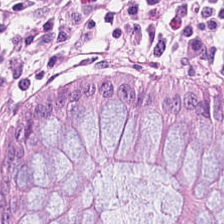Hematoxylin-and-eosin stained section. The predominant tissue is normal colon mucosa.
